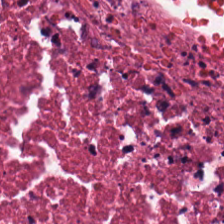H&E stain. Impression → debris.
